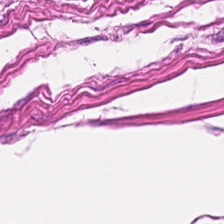{"tissue_type": "smooth muscle"}
